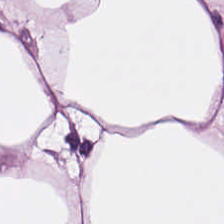H&E-stained tissue section.
Showing adipose tissue.
